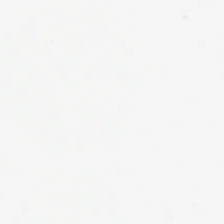Whole-slide-image patch; H&E; 224×224 pixel tile — Q: What is shown here?
A: This is no tissue.
